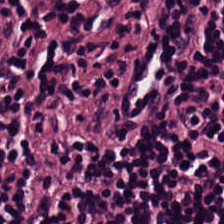Stain: H&E stain.
Tissue: lymphocytes.
